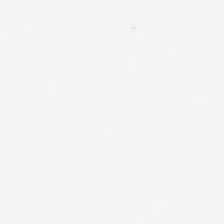FFPE tissue section. Hematoxylin and eosin. 0.5 µm per pixel — No tissue present; background only.
